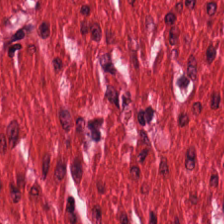Stain: H&E-stained tissue section.
Predominant tissue: muscularis.
